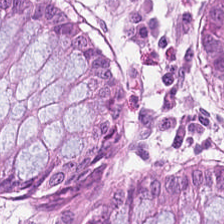H&E; brightfield microscopy — Tissue type: normal colon mucosa.
